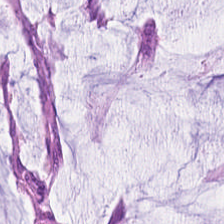Tissue: extracellular mucin.
